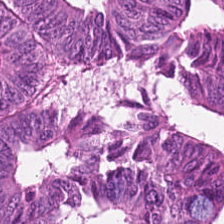H&E.
The predominant tissue is adenocarcinoma.
